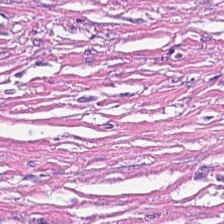Hematoxylin-and-eosin stained section. 0.5 µm per pixel.
The tissue here is tumor-associated stroma.
